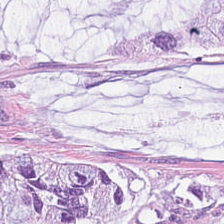H&E — Tissue class — mucus.
